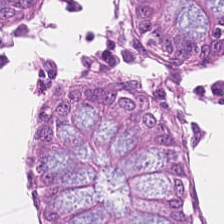Stain: hematoxylin and eosin.
Preparation: FFPE tissue section.
Tile size: 224×224 px tile.
Tissue: benign colonic mucosa.
